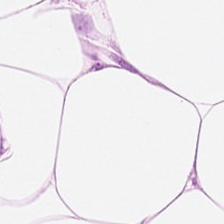Stain: H&E-stained tissue section.
Classification: fat tissue.
